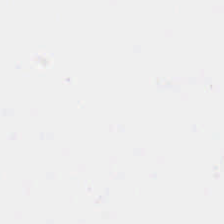H&E. Content: no tissue.
